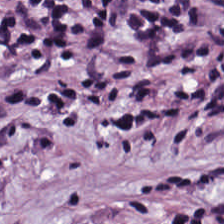H&E. 224×224 pixel tile. {"tissue_type": "cancer-associated stroma"}
